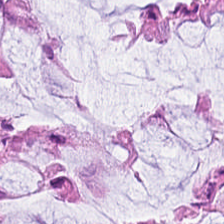H&E stain. 224×224 pixel tile — Q: What is the predominant tissue type?
A: This is normal colonic mucosa.
